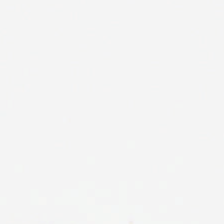This field is background (no tissue).
